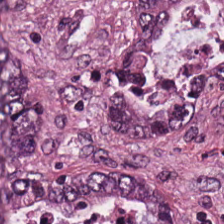Hematoxylin-and-eosin stained section.
Predominant tissue = colorectal adenocarcinoma epithelium.
